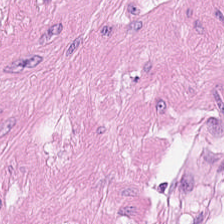The tissue here is smooth muscle.
